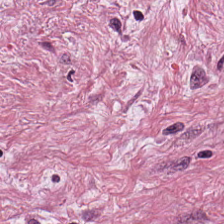Histology — tumor stroma.
